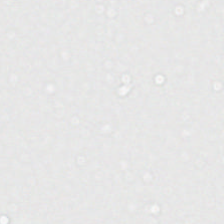Hematoxylin-and-eosin stained section · 0.5 microns per pixel. Impression — no tissue.
